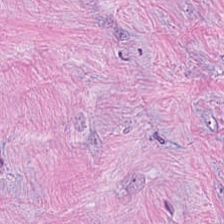Brightfield microscopy · H&E · 0.5 µm per pixel — Q: What is shown here?
A: This is tumor-associated stroma.
